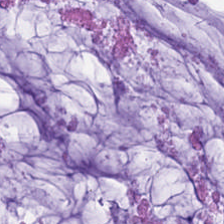FFPE. H&E stain. Tissue type — mucus.
